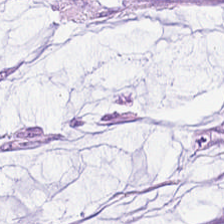Q: What tissue is shown?
A: It is mucin.
